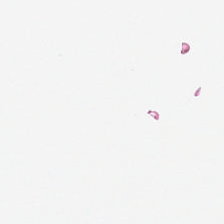Empty field — background.
